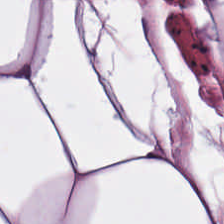H&E. Adipose.
